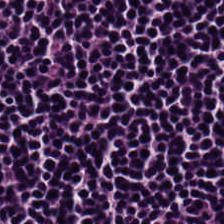Q: What is the predominant tissue type?
A: The field shows lymphocytic infiltrate.
